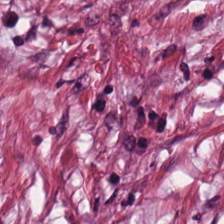Hematoxylin-and-eosin stained section — The predominant tissue is cancer-associated stroma.
